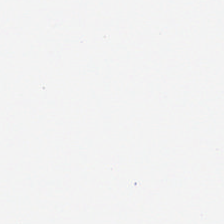Hematoxylin and eosin. Formalin-fixed paraffin-embedded section. Histology → empty background.
